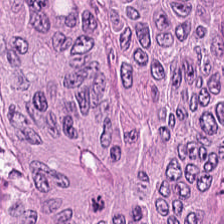The tissue type is tumor epithelium.
